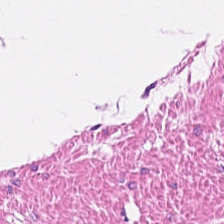Stain: hematoxylin-and-eosin stained section.
Tile size: 224×224 px patch.
Acquisition: brightfield microscopy.
Tissue type: smooth muscle.
